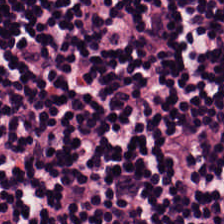Formalin-fixed paraffin-embedded section · 224×224 px tile · H&E-stained tissue section — Q: What does this patch show?
A: It is lymphocyte aggregate.
